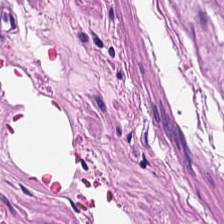Histology → smooth muscle.
